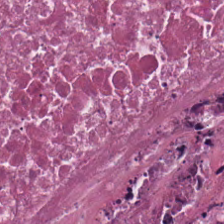Brightfield microscopy; FFPE; hematoxylin-and-eosin stained section — The predominant tissue is cellular debris.
